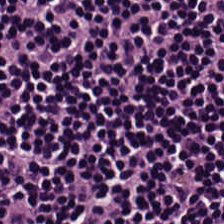H&E. Whole-slide-image patch. This patch shows lymphoid infiltrate.
